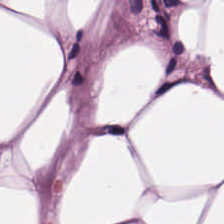FFPE tissue section · H&E stain · 0.5 µm per pixel. The predominant tissue is adipose tissue.
